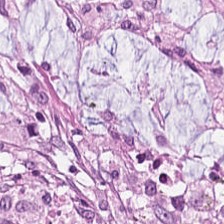Stain: H&E stain.
Tissue type: desmoplastic stroma.
